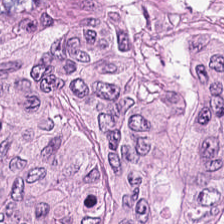Hematoxylin and eosin. Q: What tissue is shown?
A: The field shows colorectal adenocarcinoma.
